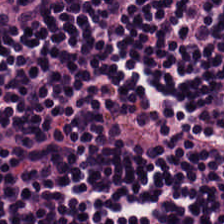Whole-slide-image patch. Hematoxylin-and-eosin stained section — The predominant tissue is lymphoid infiltrate.
